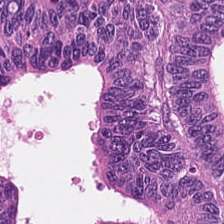H&E stain · brightfield microscopy. Tissue class: colorectal adenocarcinoma epithelium.
